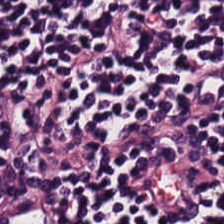H&E-stained tissue section · 0.5 µm/px.
{"tissue_type": "lymphoid infiltrate"}
